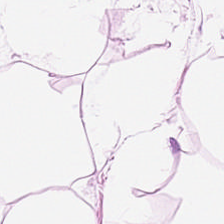H&E stain — Impression → fat tissue.
